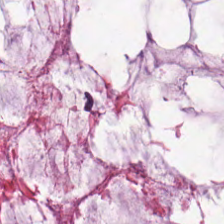H&E-stained tissue section · FFPE tissue section.
Predominant tissue: extracellular mucin.
